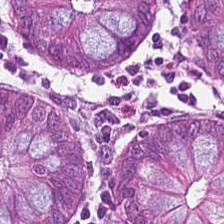H&E stain.
Q: Identify the tissue.
A: This is non-neoplastic colon mucosa.
